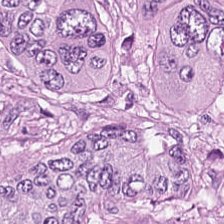H&E — colorectal adenocarcinoma.
